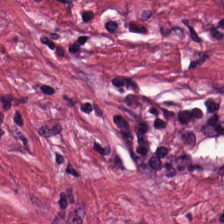WSI patch; H&E — Classification — tumor-associated stroma.
